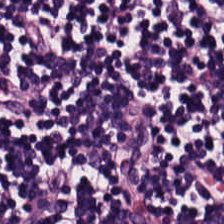Predominantly lymphocytic infiltrate.
